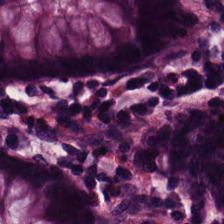Hematoxylin and eosin.
Predominantly normal colon mucosa.
